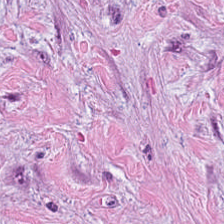The classification is desmoplastic stroma.
